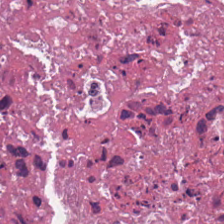Hematoxylin-and-eosin stained section — Tissue type: cellular debris.
